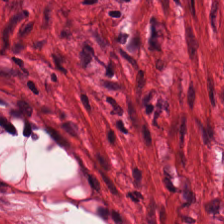H&E-stained section; the field shows muscularis.
